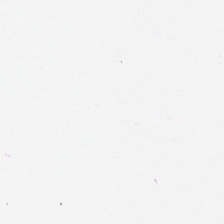Brightfield microscopy · hematoxylin and eosin.
Impression → empty background.
